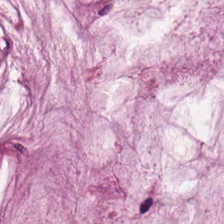Classification = mucus.
